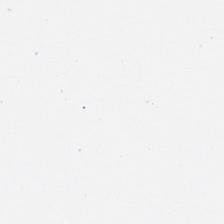H&E stain. Whole-slide-image patch. 0.5 µm per pixel — Q: Classify this patch.
A: Background (no tissue).
